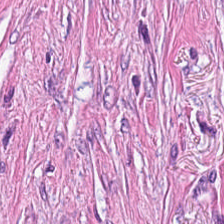H&E — Q: What is shown in this field?
A: Cancer-associated stroma.
